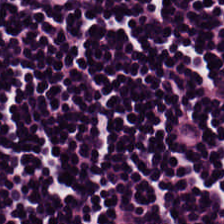{"tissue_type": "lymphocytic infiltrate"}
